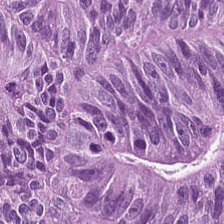224×224 px tile · hematoxylin-and-eosin stained section — Q: What is the predominant tissue type?
A: It is malignant epithelium.
